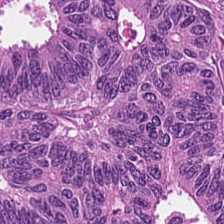Tissue class = colorectal adenocarcinoma epithelium.
